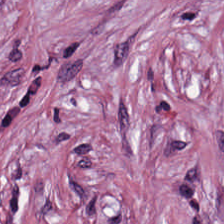Hematoxylin-and-eosin stained section. Q: What is shown here?
A: The field shows tumor stroma.
